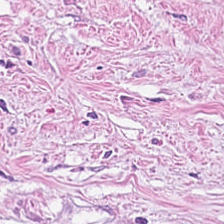Hematoxylin and eosin — Tissue class: tumor stroma.
